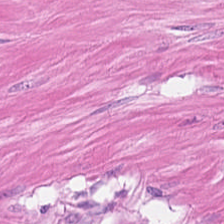Stain: H&E.
Classification: muscularis.
